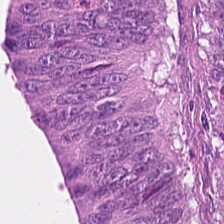Stain: hematoxylin and eosin.
Tissue: tumor epithelium.
